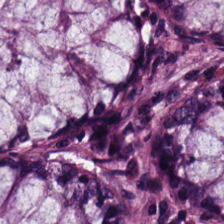H&E-stained tissue section.
The predominant tissue is non-neoplastic colon mucosa.
